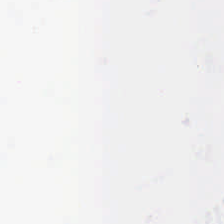Stain: H&E stain.
Field content: empty background.
